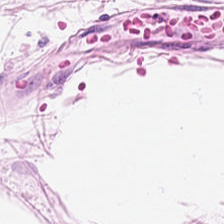Formalin-fixed paraffin-embedded section · H&E.
Histology → adipose.
